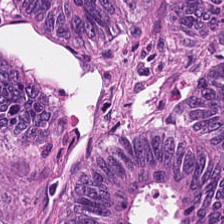Stain: hematoxylin-and-eosin stained section.
Preparation: formalin-fixed paraffin-embedded section.
Resolution: 0.5 microns per pixel.
Predominant tissue: malignant epithelium.
